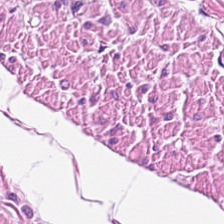H&E stain. Histology — muscularis.
